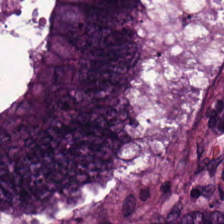FFPE; 0.5 microns per pixel; H&E stain — Q: What type of tissue is this?
A: Colorectal adenocarcinoma.
